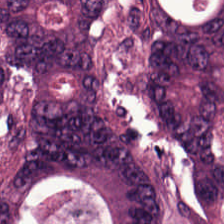0.5 µm/px; H&E stain.
Impression — colorectal adenocarcinoma.
